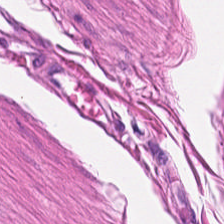Stain: H&E-stained tissue section.
Resolution: 0.5 µm per pixel.
Preparation: formalin-fixed paraffin-embedded section.
Tissue type: smooth-muscle tissue.
